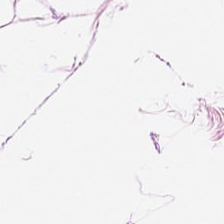H&E stain. Impression — adipose.
